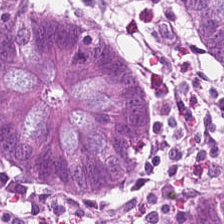H&E stain. This patch shows non-neoplastic colon mucosa.
